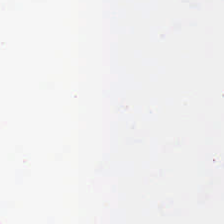Hematoxylin and eosin — Classification: background (no tissue).
